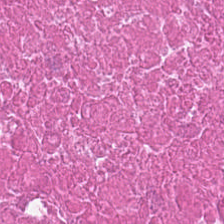Hematoxylin-and-eosin stained section. Predominantly cellular debris.
